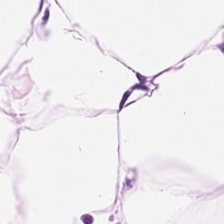Hematoxylin-and-eosin stained section.
Showing adipose.
